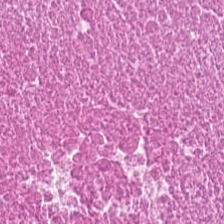0.5 µm/px. H&E-stained tissue section — The tissue here is necrotic debris.
